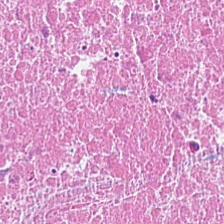Hematoxylin and eosin — Tissue class — necrotic debris.
